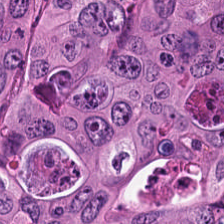Whole-slide-image patch. Hematoxylin and eosin — Q: What is the predominant tissue type?
A: The field shows adenocarcinoma.
